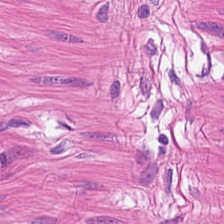20× equivalent magnification · WSI patch · H&E stain — Q: What is shown here?
A: Smooth muscle.
